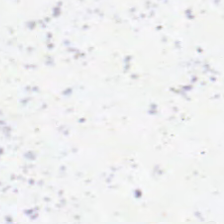Stain: H&E stain.
Preparation: formalin-fixed paraffin-embedded section.
Content: empty background.
